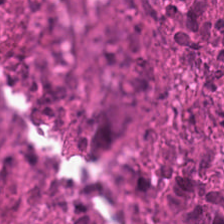Hematoxylin and eosin; brightfield — {"tissue_type": "debris"}
